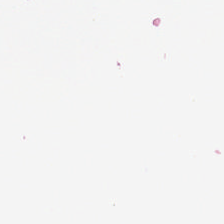H&E stain.
Q: Classify this patch.
A: The field shows no tissue.
